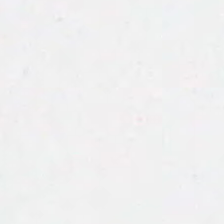H&E-stained tissue section — Q: Classify this patch.
A: This is background (no tissue).
